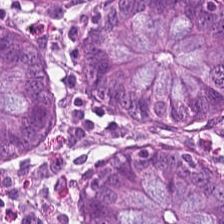Brightfield. H&E. Q: Classify this patch.
A: This is non-neoplastic colon mucosa.
